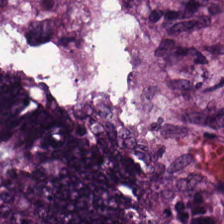Stain: hematoxylin-and-eosin stained section.
Preparation: FFPE tissue section.
Tissue type: tumor epithelium.
